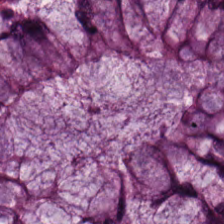Stain: hematoxylin-and-eosin stained section.
Tissue type: benign colonic mucosa.
